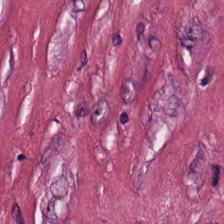Stain: H&E stain.
Classification: desmoplastic stroma.
